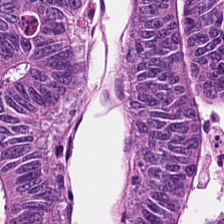0.5 µm/px · H&E-stained tissue section. Predominant tissue = colorectal adenocarcinoma.
